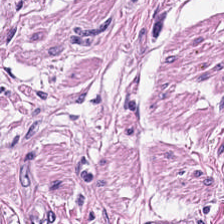H&E-stained tissue section. 224×224 pixel tile.
Q: What type of tissue is this?
A: It is muscularis.
